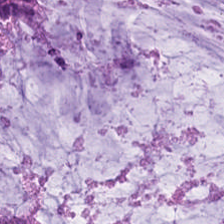0.5 µm per pixel. Hematoxylin-and-eosin stained section.
Showing extracellular mucin.
